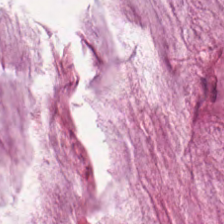Stain: hematoxylin and eosin.
Acquisition: WSI patch.
Classification: mucin.
